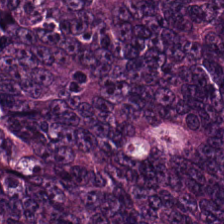Brightfield microscopy · H&E stain · 224×224 px tile. Predominant tissue = adenocarcinoma.
